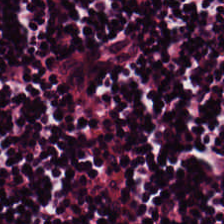Hematoxylin and eosin.
Q: Identify the tissue.
A: It is lymphocytes.
